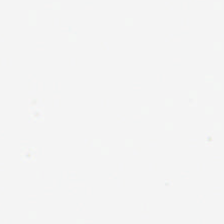H&E · 0.5 microns per pixel. Q: What does this patch show?
A: This is empty background.
